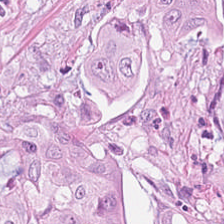H&E-stained tissue section. 224×224 px patch.
Tumor epithelium.
